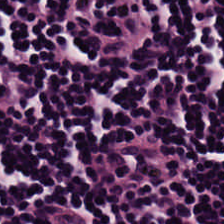H&E-stained tissue section. Histology → lymphocyte aggregate.
